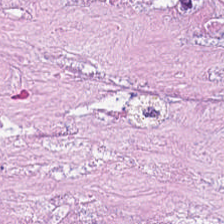H&E-stained tissue section. Classification = necrotic debris.
